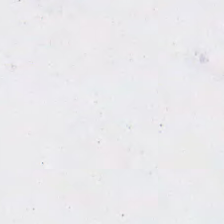Hematoxylin-and-eosin stained section. FFPE.
Classification — background (no tissue).
